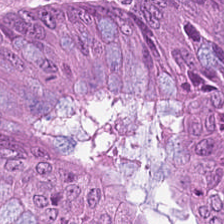Hematoxylin-and-eosin stained section · formalin-fixed paraffin-embedded section · 224×224 pixel tile — Finding → colorectal adenocarcinoma.
